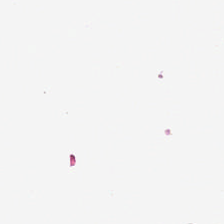Q: What is shown here?
A: The field shows empty background.
